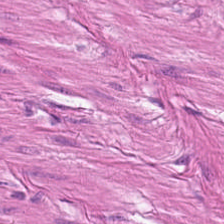H&E-stained tissue section. 0.5 µm/px.
Histology → muscularis.
